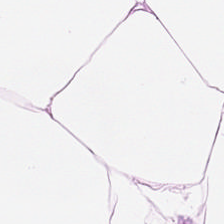H&E stain · 0.5 µm per pixel. Impression → adipocytes.
